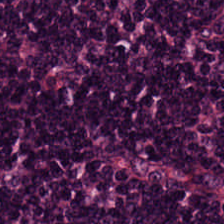H&E · 224×224 pixel tile. Predominantly lymphocyte aggregate.
